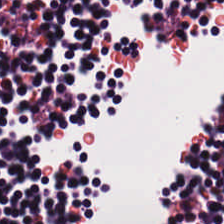Hematoxylin and eosin.
Predominant tissue = lymphoid infiltrate.
